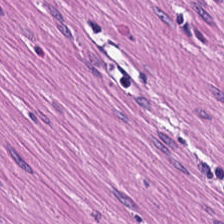H&E stain — The predominant tissue is muscularis.
